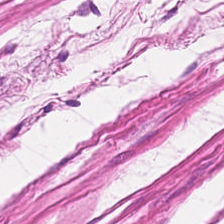H&E-stained tissue section.
Q: What tissue type is shown here?
A: It is muscularis.
